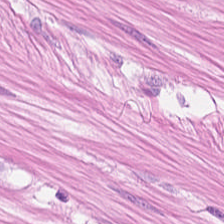20× equivalent magnification · formalin-fixed paraffin-embedded section · hematoxylin-and-eosin stained section — Classification: muscularis.
